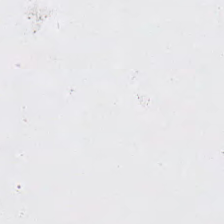Hematoxylin and eosin. Finding — empty background.
